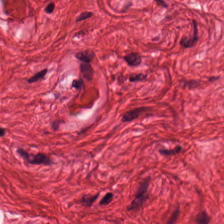Hematoxylin-and-eosin stained section.
Histology → muscularis.
